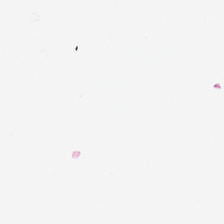FFPE. Whole-slide-image patch. H&E.
This field is background (no tissue).
